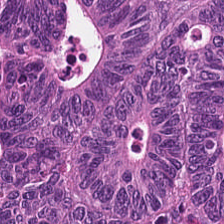H&E-stained section; the field shows colorectal adenocarcinoma epithelium.
